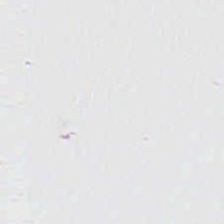0.5 µm/px; brightfield microscopy; H&E-stained tissue section. The classification is empty background.
